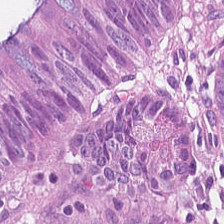Hematoxylin and eosin. Q: What tissue is shown?
A: This is tumor epithelium.
